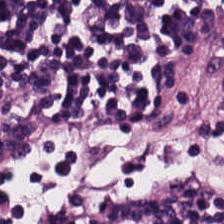H&E stain · FFPE tissue section. The predominant tissue is lymphoid infiltrate.
